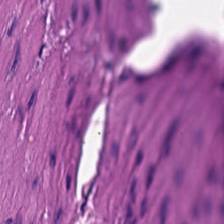H&E-stained tissue section.
Impression → smooth muscle.
